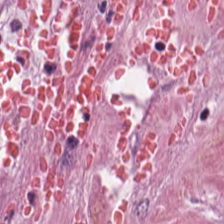H&E stain · formalin-fixed paraffin-embedded section · 0.5 µm/px — Q: Identify the tissue.
A: The field shows desmoplastic stroma.
